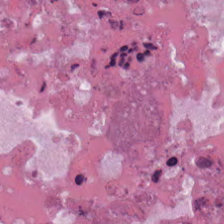The predominant tissue is cellular debris.
